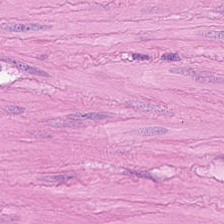FFPE · 224×224 px tile · H&E stain. Q: Classify this patch.
A: It is smooth-muscle tissue.
